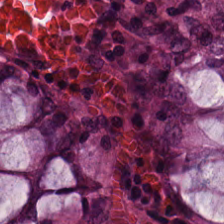Tissue type — non-neoplastic colon mucosa.
